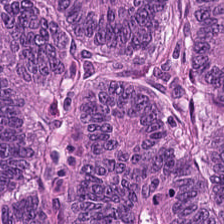Q: What is shown here?
A: The field shows colorectal adenocarcinoma.
